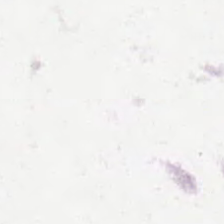H&E — Empty field — background (no tissue).
